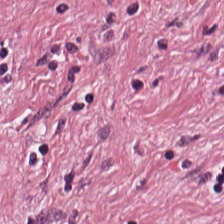Stain: hematoxylin and eosin.
Preparation: FFPE tissue section.
Tissue class: cancer-associated stroma.
